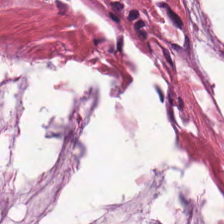H&E stain — Mucin.
